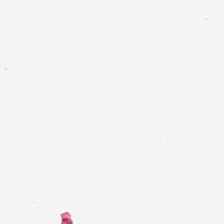Histology → background.
